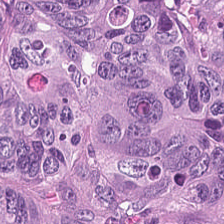H&E. 224×224 px tile — This patch shows colorectal adenocarcinoma.
